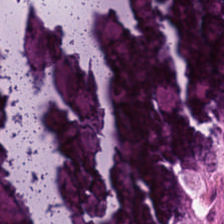H&E stain. Finding → debris.
